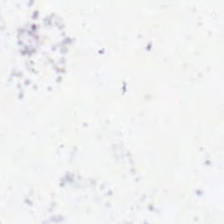Hematoxylin-and-eosin stained section — Background — no tissue in this field.
